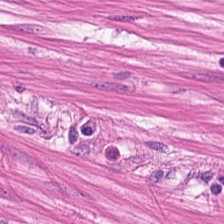H&E-stained tissue section. Smooth-muscle tissue.
